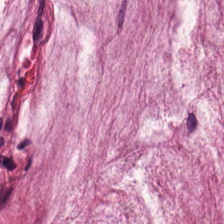H&E — Predominant tissue — extracellular mucin.
